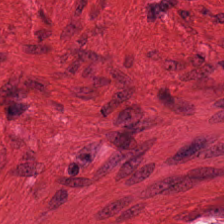Hematoxylin-and-eosin stained section. Q: What does this patch show?
A: This is muscularis.
